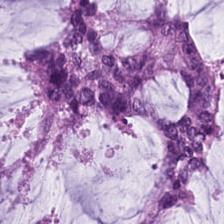H&E.
Finding → extracellular mucin.
